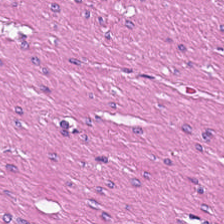Predominantly smooth-muscle tissue.
